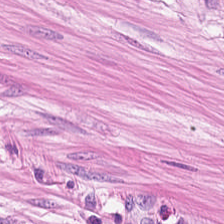Q: What tissue type is shown here?
A: This is smooth-muscle tissue.
